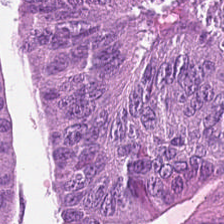FFPE · hematoxylin and eosin.
This patch shows malignant epithelium.
